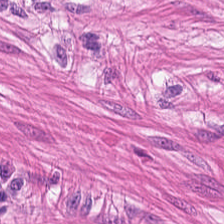H&E · 224×224 px patch — The tissue is smooth-muscle tissue.
